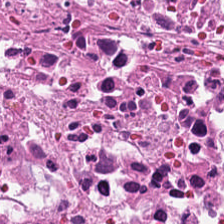0.5 µm per pixel. H&E stain.
The tissue here is debris.
